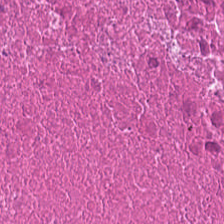Hematoxylin-and-eosin stained section.
This patch shows cellular debris.
